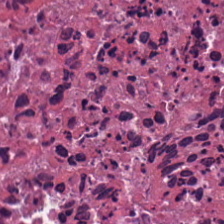H&E-stained tissue section.
Classification = debris.
